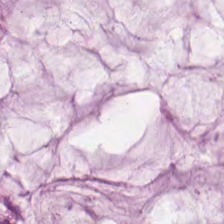WSI patch; hematoxylin and eosin. The tissue type is extracellular mucin.
